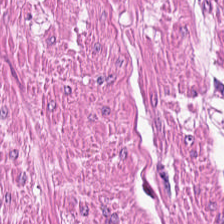H&E-stained tissue section; 0.5 µm per pixel.
The predominant tissue is smooth muscle.
